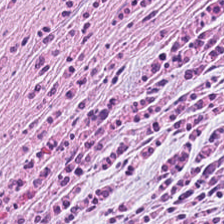H&E-stained tissue section · 20× equivalent magnification · FFPE tissue section. Histology — tumor-associated stroma.
